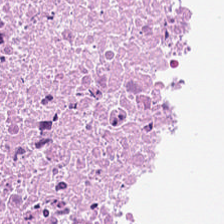The predominant tissue is debris.
